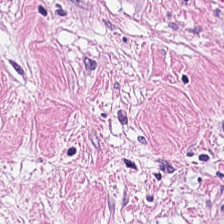Stain: hematoxylin-and-eosin stained section.
Tissue: tumor stroma.
